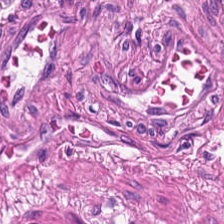The classification is muscularis.
